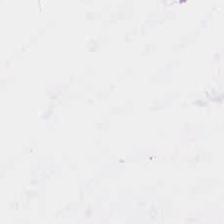224×224 px tile · hematoxylin-and-eosin stained section.
Classification — no tissue.
